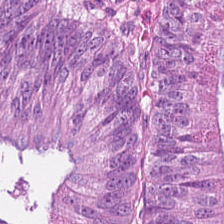224×224 px tile · FFPE tissue section · H&E stain — Finding — adenocarcinoma.
